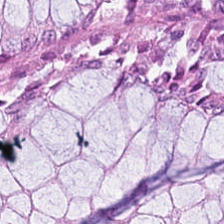H&E — The classification is normal colonic mucosa.
